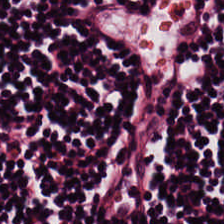Hematoxylin-and-eosin section: lymphoid infiltrate.
